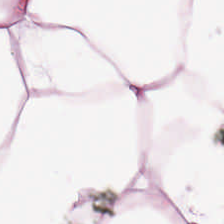Brightfield microscopy; hematoxylin and eosin. Tissue — adipose tissue.
